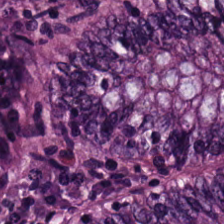Finding → benign colonic mucosa.
